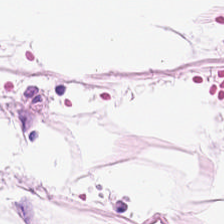Hematoxylin and eosin; 224×224 px tile; brightfield. This patch shows adipose tissue.
